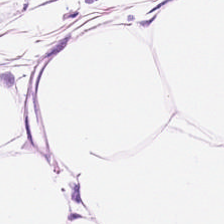Stain: H&E stain.
Acquisition: whole-slide-image patch.
Preparation: FFPE tissue section.
Predominant tissue: adipose.
